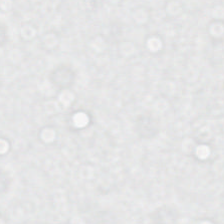Stain: hematoxylin and eosin.
Field content: background (no tissue).
